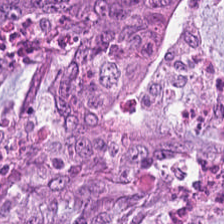H&E. Q: Classify this patch.
A: Colorectal adenocarcinoma.
